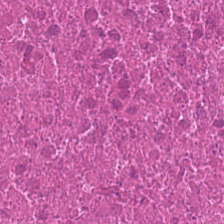Hematoxylin-and-eosin section: necrotic debris.
